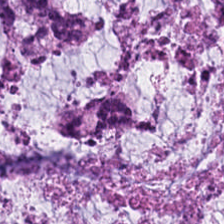Hematoxylin and eosin · brightfield. The tissue type is mucus.
